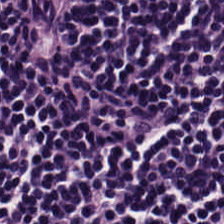Stain: hematoxylin-and-eosin stained section.
Tissue: lymphocyte aggregate.
